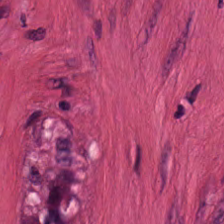Hematoxylin-and-eosin stained section.
Impression — smooth muscle.
